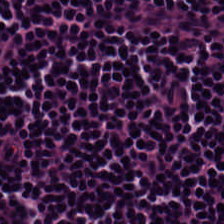Stain: H&E stain.
Acquisition: whole-slide-image patch.
Preparation: formalin-fixed paraffin-embedded section.
Tissue: lymphocytes.
